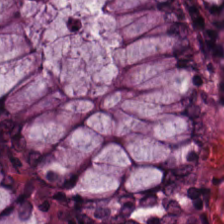Stain: H&E stain.
Tissue type: normal colonic mucosa.
